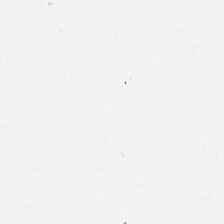Q: Classify this patch.
A: This is background.
